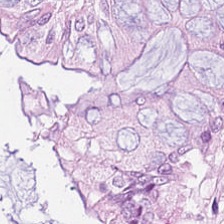H&E stain — This field is non-neoplastic colon mucosa.
